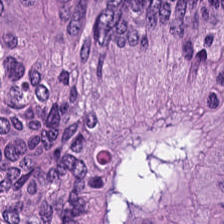H&E stain — Q: What is shown here?
A: This is malignant epithelium.
